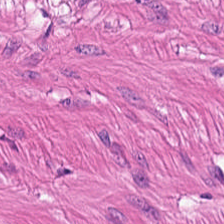H&E stain. Tissue type: smooth muscle.
